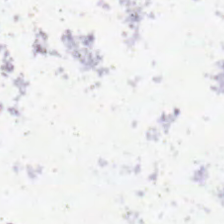Hematoxylin-and-eosin stained section — The classification is background.
